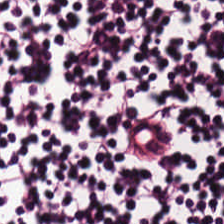H&E patch showing lymphocyte aggregate.
